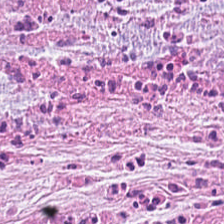WSI patch; hematoxylin and eosin — Impression → tumor stroma.
